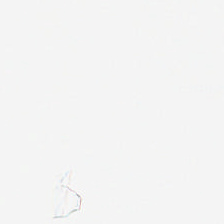FFPE. H&E-stained tissue section. 0.5 µm/px — This field is background (no tissue).
